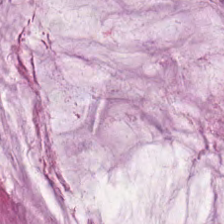Hematoxylin-and-eosin stained section · 0.5 µm per pixel. Predominantly mucus.
